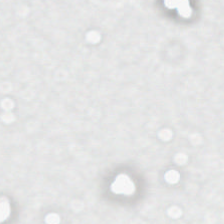Hematoxylin-and-eosin stained section.
Q: Classify this patch.
A: It is background.
